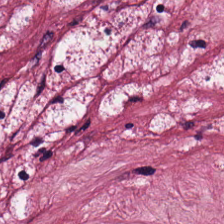H&E. 0.5 µm/px — This field is desmoplastic stroma.
